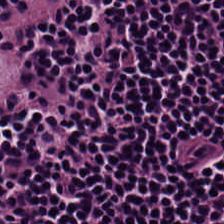Showing lymphoid infiltrate.
